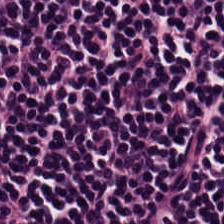Lymphoid infiltrate.
